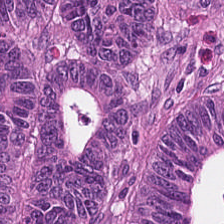Hematoxylin and eosin — Histology → colorectal adenocarcinoma.
